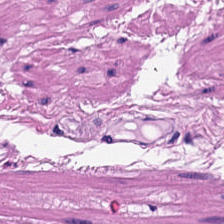H&E stain — Tissue — muscularis.
